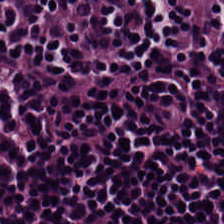This field is lymphocytic infiltrate.
